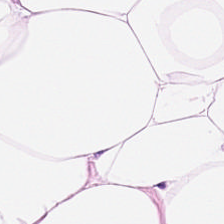Hematoxylin-and-eosin stained section — Q: What tissue is shown?
A: This is fat tissue.
